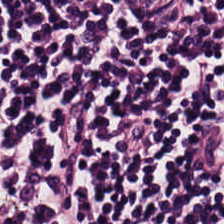Hematoxylin and eosin. Whole-slide-image patch. Lymphocytic infiltrate.
